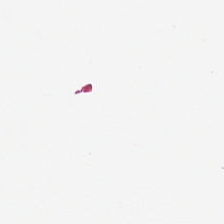WSI patch. Hematoxylin and eosin. Empty field — background.
